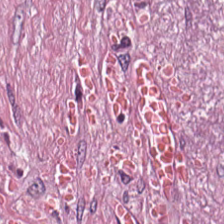Hematoxylin-and-eosin stained section — Tissue — tumor stroma.
